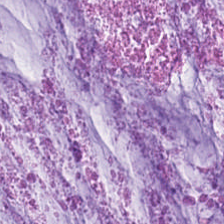Hematoxylin and eosin; 0.5 µm per pixel — The tissue here is mucin.
